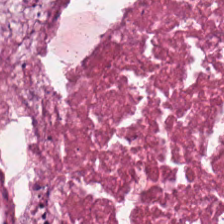H&E stain. Formalin-fixed paraffin-embedded section.
Q: What tissue type is shown here?
A: The field shows cellular debris.
